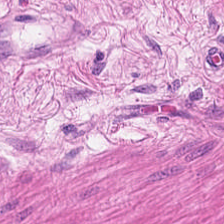H&E stain.
Classification: smooth muscle.
